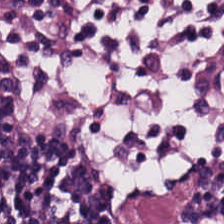224×224 pixel tile; hematoxylin and eosin; brightfield — Predominant tissue — lymphocytes.
